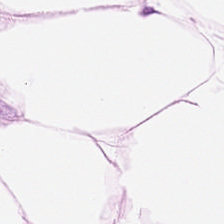Hematoxylin-and-eosin stained section. This patch shows adipose tissue.
